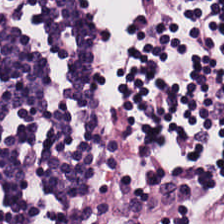224×224 px tile · hematoxylin-and-eosin stained section · FFPE. Q: Identify the tissue.
A: Lymphocytic infiltrate.
